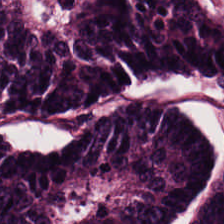Tissue — colorectal adenocarcinoma epithelium.
